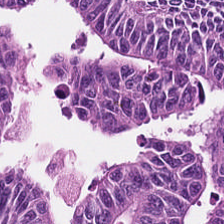H&E stain — This patch shows tumor epithelium.
